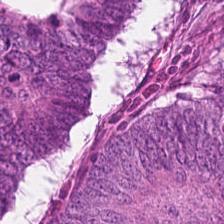Stain: H&E.
Tissue type: colorectal adenocarcinoma epithelium.
